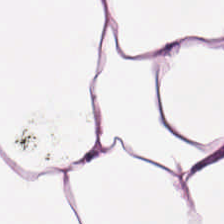Hematoxylin-and-eosin stained section.
Showing adipose tissue.
